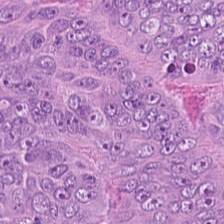Brightfield microscopy; H&E.
Impression — tumor epithelium.
